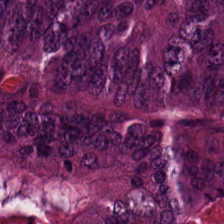Hematoxylin and eosin; WSI patch — Q: What tissue is shown?
A: This is adenocarcinoma.
